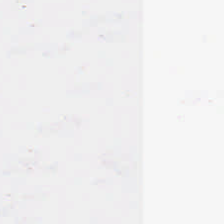Hematoxylin-and-eosin stained section.
The classification is background (no tissue).
